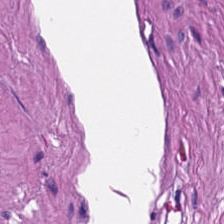Hematoxylin-and-eosin section: smooth muscle.
